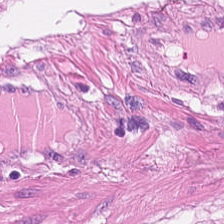FFPE tissue section · brightfield microscopy · hematoxylin and eosin — Q: What is the predominant tissue type?
A: It is muscularis.
